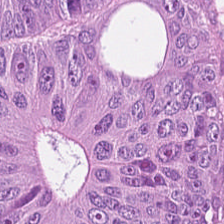Impression → malignant epithelium.
